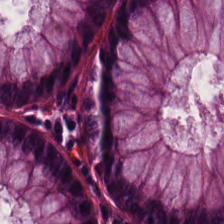H&E-stained section; the field shows benign colonic mucosa.
